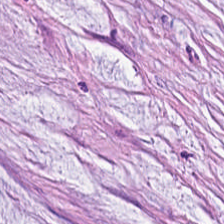Tissue type — mucus.
